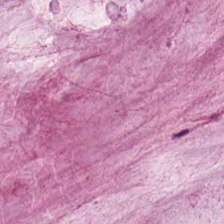H&E stain. Predominant tissue — mucus.
